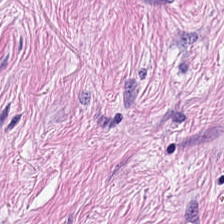H&E stain; 0.5 microns per pixel.
This patch shows tumor stroma.
